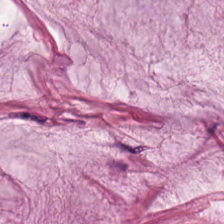Hematoxylin and eosin — This field is extracellular mucin.
